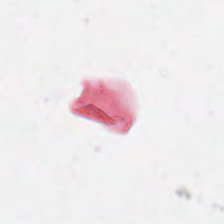The field content is no tissue.
